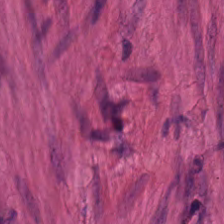Stain: H&E stain.
Resolution: 0.5 µm/px.
Preparation: FFPE.
Tissue class: smooth muscle.
